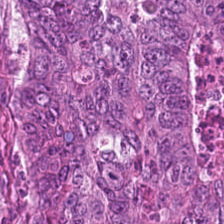Hematoxylin-and-eosin stained section.
Q: What is shown here?
A: The field shows colorectal adenocarcinoma epithelium.
